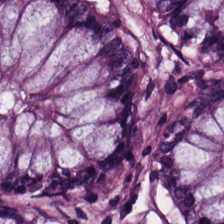The tissue here is normal colonic mucosa.
